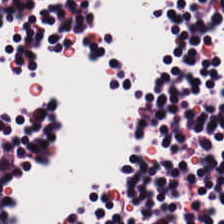H&E-stained tissue section.
This field is lymphocytes.
